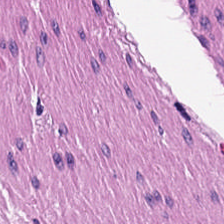H&E; 0.5 µm/px — Impression → smooth-muscle tissue.
